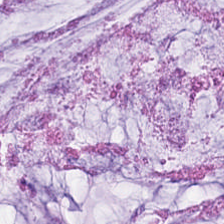Stain: H&E.
Tissue type: mucus.
